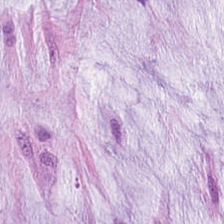Hematoxylin-and-eosin stained section.
Q: What tissue is shown?
A: Extracellular mucin.
